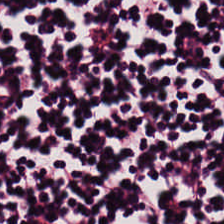H&E-stained tissue section — This patch shows lymphoid infiltrate.
